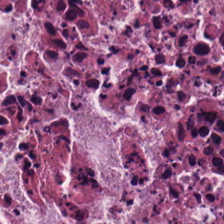H&E. Q: What is shown here?
A: The field shows necrotic debris.
